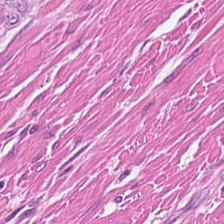Tissue — muscularis.
